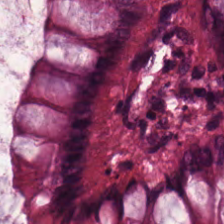WSI patch. H&E-stained tissue section. 224×224 pixel tile — Non-neoplastic colon mucosa.
